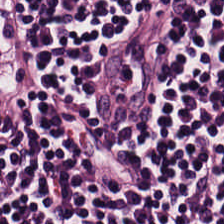Lymphocyte aggregate.
